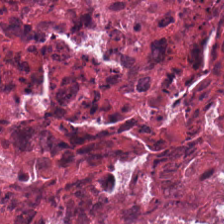Stain: H&E.
Predominant tissue: debris.
